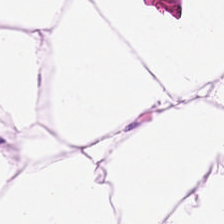WSI patch. Hematoxylin and eosin. FFPE.
Finding — adipocytes.
